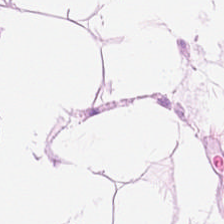H&E-stained tissue section showing adipocytes.
